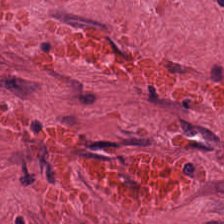H&E; brightfield — Predominantly desmoplastic stroma.
